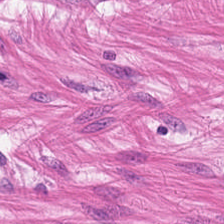WSI patch. 20× equivalent magnification. H&E-stained tissue section.
{"tissue_type": "smooth-muscle tissue"}
